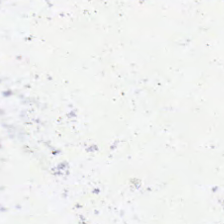Q: What is shown in this field?
A: It is empty background.
